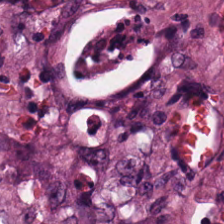H&E-stained section; the field shows tumor stroma.
